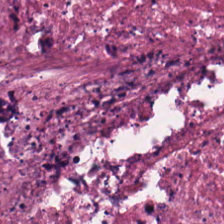Hematoxylin and eosin.
Debris.
